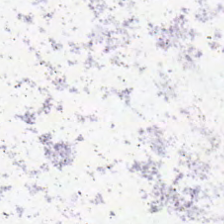H&E stain · brightfield — Classification: no tissue.
